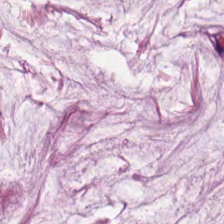Hematoxylin-and-eosin stained section — Q: Classify this patch.
A: This is extracellular mucin.
